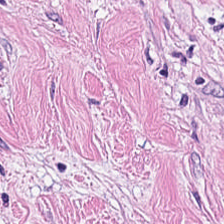Stain: H&E stain.
Tissue type: tumor stroma.
